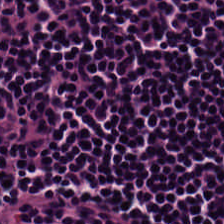0.5 microns per pixel · WSI patch · H&E-stained tissue section. Tissue class = lymphocyte aggregate.
